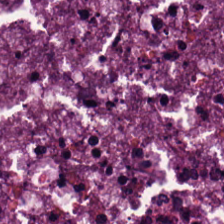0.5 microns per pixel; FFPE tissue section; H&E-stained tissue section — Finding → malignant epithelium.
